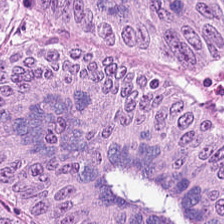Hematoxylin and eosin — The predominant tissue is colorectal adenocarcinoma.
